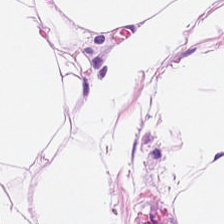Hematoxylin and eosin.
Q: What type of tissue is this?
A: Adipocytes.
